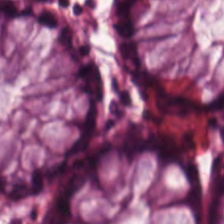Hematoxylin-and-eosin stained section; 20× equivalent magnification.
Tissue: normal colonic mucosa.
